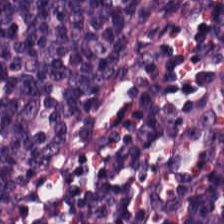Hematoxylin-and-eosin stained section — Predominantly lymphocytic infiltrate.
